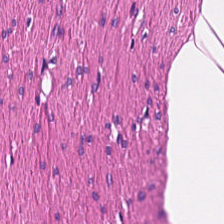H&E-stained tissue section showing smooth muscle.
